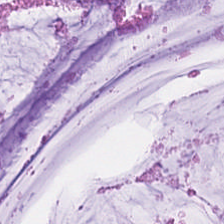Finding — extracellular mucin.
